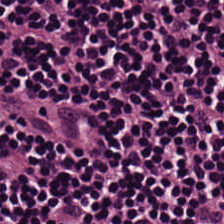H&E. FFPE tissue section — Tissue = lymphocytes.
